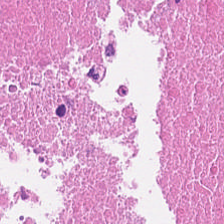H&E — cellular debris.
